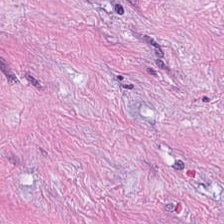The tissue here is tumor-associated stroma.
